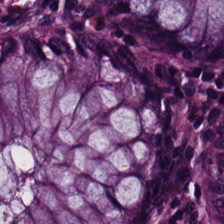Hematoxylin and eosin — This field is non-neoplastic colon mucosa.
